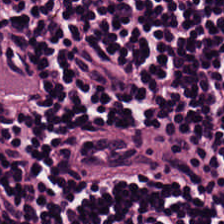The predominant tissue is lymphocytic infiltrate.
